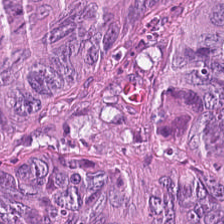Impression → adenocarcinoma.
